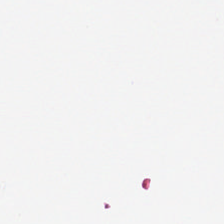Q: Classify this patch.
A: The field shows empty background.
